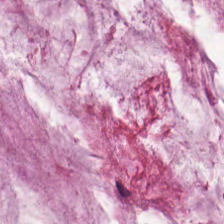Predominant tissue = extracellular mucin.
